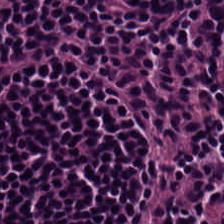H&E stain; 224×224 px tile; 0.5 microns per pixel. Histology → lymphoid infiltrate.
